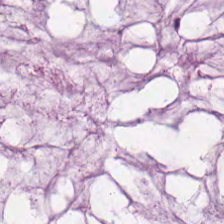H&E — Showing mucin.
